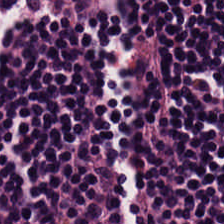H&E stain — The tissue class is lymphoid infiltrate.
